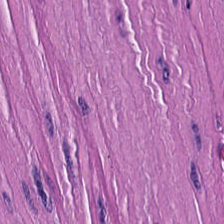H&E-stained tissue section — Q: What type of tissue is this?
A: Smooth-muscle tissue.
